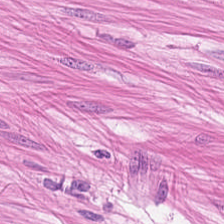H&E stain — Tissue class — smooth-muscle tissue.
